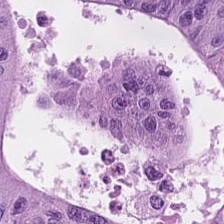H&E — Finding → colorectal adenocarcinoma.
